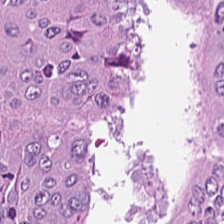Hematoxylin-and-eosin stained section; FFPE tissue section — This patch shows colorectal adenocarcinoma epithelium.
